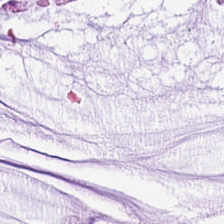H&E — mucin.
